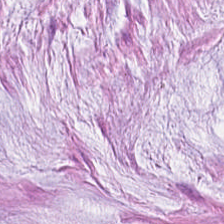{"tissue_type": "mucin"}
